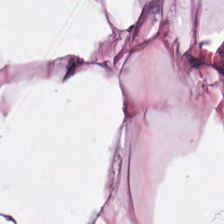Formalin-fixed paraffin-embedded section. H&E. 224×224 px tile. Tissue class — adipose tissue.
